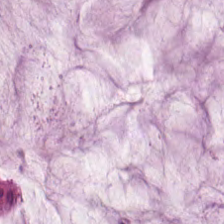Q: Identify the tissue.
A: It is mucus.
